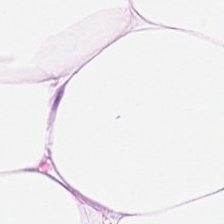H&E stain. Tissue type = adipose.
